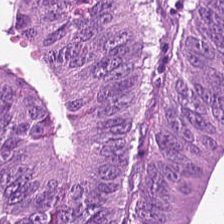H&E stain.
Tissue class — adenocarcinoma.
